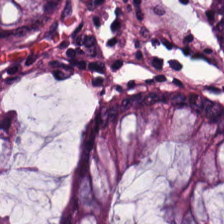Stain: H&E.
Resolution: 20× equivalent magnification.
Acquisition: whole-slide-image patch.
Classification: non-neoplastic colon mucosa.
